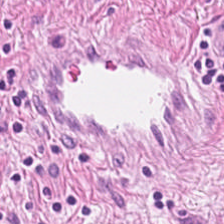224×224 px tile · hematoxylin and eosin · formalin-fixed paraffin-embedded section.
This field is smooth-muscle tissue.
